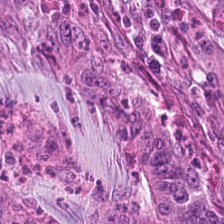H&E-stained tissue section; brightfield — The tissue here is adenocarcinoma.
